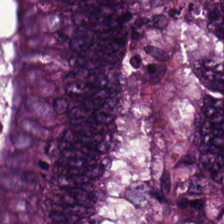20× equivalent magnification; H&E — Finding → tumor epithelium.
